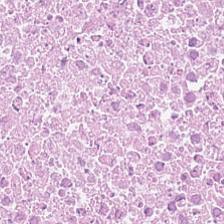Hematoxylin and eosin — Predominant tissue = necrotic debris.
